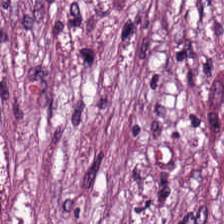Hematoxylin-and-eosin stained section.
Tumor-associated stroma.
